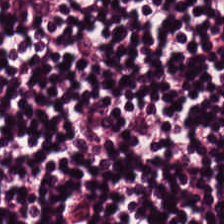Q: What is the predominant tissue type?
A: Lymphocyte aggregate.
